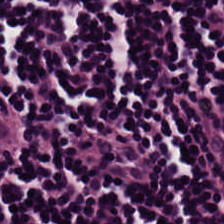H&E stain; 0.5 µm/px.
Classification — lymphocytic infiltrate.
